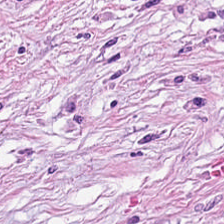H&E-stained tissue section showing tumor stroma.
